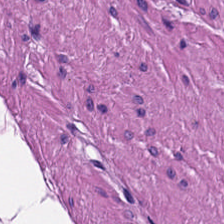Hematoxylin-and-eosin stained section.
{"tissue_type": "smooth-muscle tissue"}
